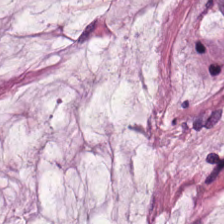Classification — mucus.
